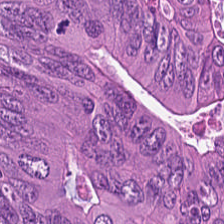Hematoxylin-and-eosin stained section; 0.5 µm/px; brightfield — Predominant tissue: colorectal adenocarcinoma.
